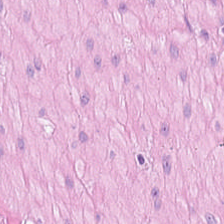Stain: H&E.
Preparation: FFPE tissue section.
Tissue: muscularis.
